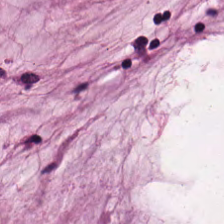H&E · 224×224 pixel tile.
Tissue class = mucus.
